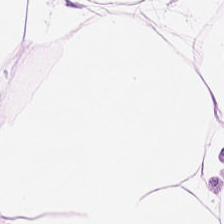H&E. 0.5 µm per pixel.
Adipose.
